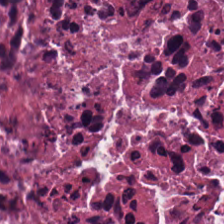Hematoxylin-and-eosin stained section. The predominant tissue is debris.
